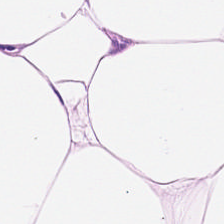0.5 microns per pixel · hematoxylin-and-eosin stained section. {"tissue_type": "fat tissue"}
